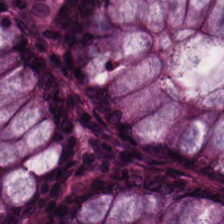Hematoxylin-and-eosin stained section; 224×224 pixel tile.
The tissue here is normal colonic mucosa.
